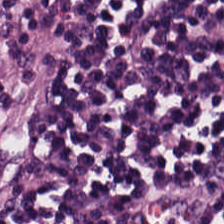Hematoxylin-and-eosin stained section.
Classification: lymphocytes.
